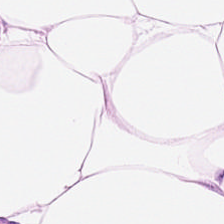20× equivalent magnification. Hematoxylin and eosin. WSI patch.
The predominant tissue is adipocytes.
